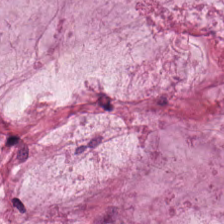Formalin-fixed paraffin-embedded section · H&E-stained tissue section.
{"tissue_type": "extracellular mucin"}
